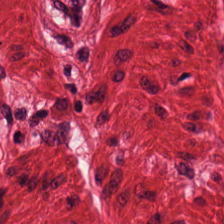Q: What is shown in this field?
A: It is smooth-muscle tissue.
